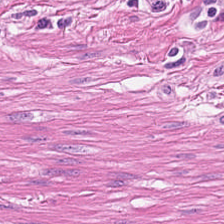WSI patch. H&E. 224×224 px patch — Predominant tissue: smooth muscle.
